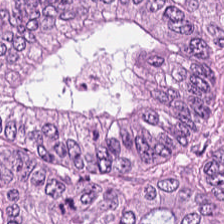This field is colorectal adenocarcinoma.
